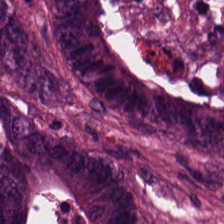Stain: H&E.
Acquisition: whole-slide-image patch.
Tile size: 224×224 px tile.
Tissue: colorectal adenocarcinoma epithelium.
